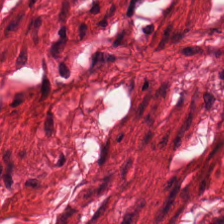Hematoxylin and eosin; 0.5 microns per pixel; 224×224 px patch.
{"tissue_type": "smooth-muscle tissue"}
